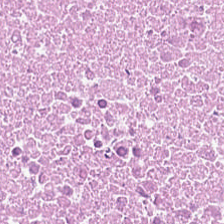H&E stain — Cellular debris.
